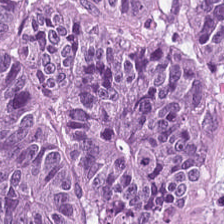Finding → colorectal adenocarcinoma.
